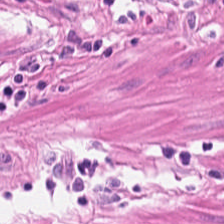Q: Identify the tissue.
A: The field shows smooth-muscle tissue.
